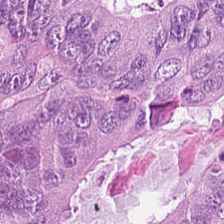224×224 px tile. H&E. Q: What is the predominant tissue type?
A: This is malignant epithelium.
